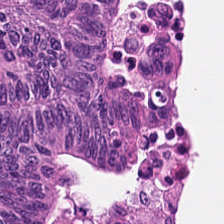{"tissue_type": "colorectal adenocarcinoma"}
